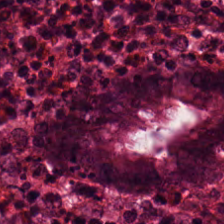Hematoxylin-and-eosin stained section. Normal colon mucosa.
